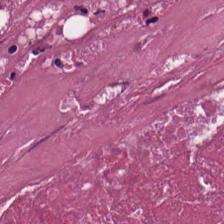Hematoxylin-and-eosin stained section · 224×224 px tile · formalin-fixed paraffin-embedded section.
Tissue type: debris.
